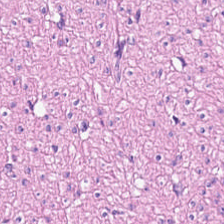0.5 microns per pixel. FFPE tissue section. H&E-stained tissue section — Histology — smooth-muscle tissue.
